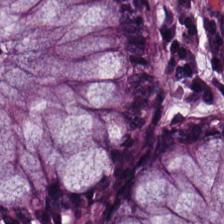Impression — benign colonic mucosa.
